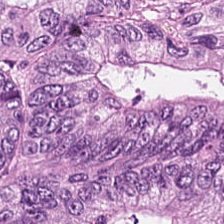Hematoxylin-and-eosin stained section · WSI patch.
The tissue here is malignant epithelium.
